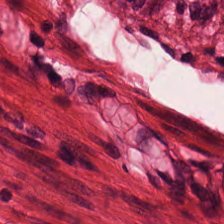FFPE tissue section. 224×224 px patch. Hematoxylin and eosin. Predominantly smooth-muscle tissue.
